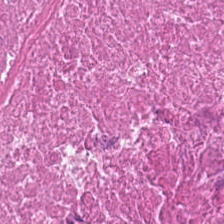Hematoxylin and eosin. Formalin-fixed paraffin-embedded section. Brightfield. {"tissue_type": "debris"}
